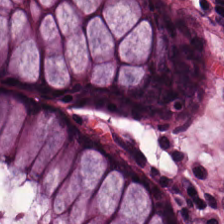The predominant tissue is normal colon mucosa.
